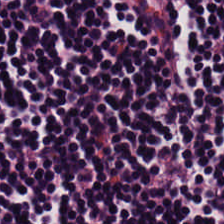{"tissue_type": "lymphocytic infiltrate"}
